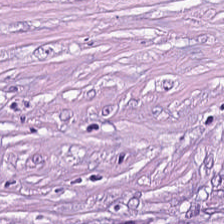Hematoxylin and eosin. Tissue type = tumor-associated stroma.
